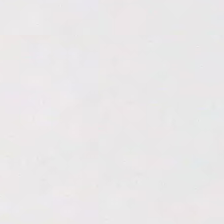Empty field — background (no tissue).
